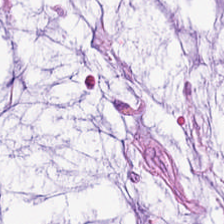Hematoxylin-and-eosin stained section — This patch shows mucin.
